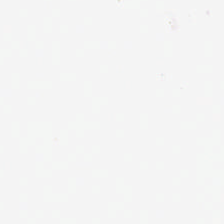Background — no tissue in this field.
